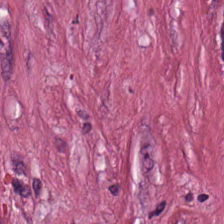H&E-stained tissue section. Impression → tumor stroma.
